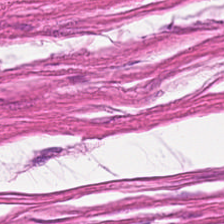H&E-stained tissue section. Predominant tissue — smooth muscle.
